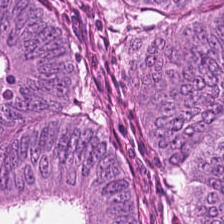H&E stain. The classification is colorectal adenocarcinoma epithelium.
